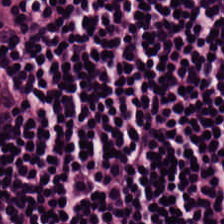Stain: H&E stain.
Tissue: lymphocytes.
